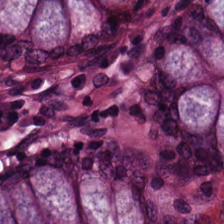H&E stain. {"tissue_type": "normal colonic mucosa"}
